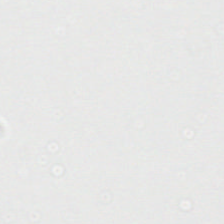Hematoxylin-and-eosin stained section.
Background — no tissue in this field.
